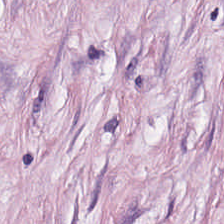H&E-stained tissue section · brightfield. The predominant tissue is cancer-associated stroma.
